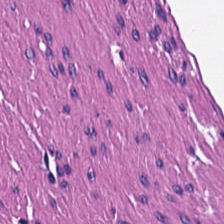Impression → muscularis.
